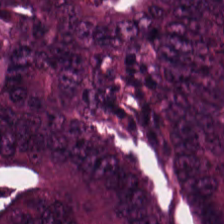FFPE · H&E stain — The tissue here is malignant epithelium.
